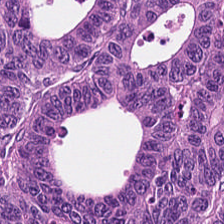Stain: H&E stain.
Tissue: colorectal adenocarcinoma.
